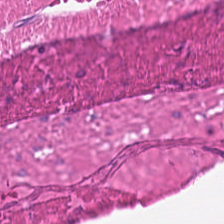H&E-stained tissue section — Tissue class = muscularis.
